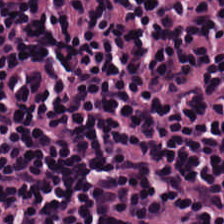Formalin-fixed paraffin-embedded section · hematoxylin and eosin · brightfield — The tissue here is lymphocyte aggregate.
